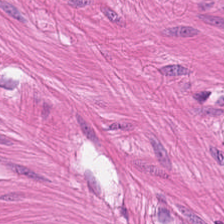Formalin-fixed paraffin-embedded section. Hematoxylin and eosin — Q: What tissue type is shown here?
A: It is smooth-muscle tissue.
